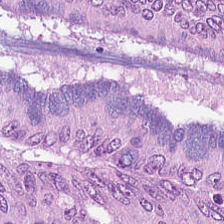H&E stain.
Q: What tissue is shown?
A: Colorectal adenocarcinoma.
